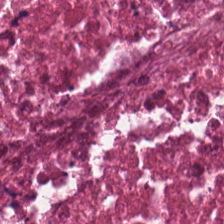Hematoxylin-and-eosin stained section — Predominantly necrotic debris.
